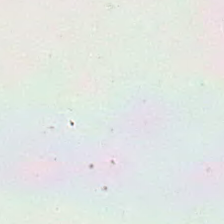Whole-slide-image patch · hematoxylin-and-eosin stained section.
Field content: no tissue.
